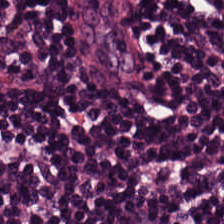Whole-slide-image patch; hematoxylin and eosin; 20× equivalent magnification — {"tissue_type": "lymphoid infiltrate"}
